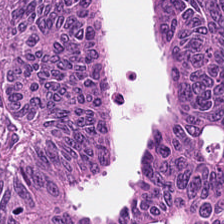H&E.
Tissue: tumor epithelium.
